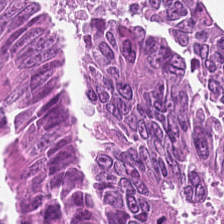224×224 px patch · hematoxylin-and-eosin stained section. This field is adenocarcinoma.
